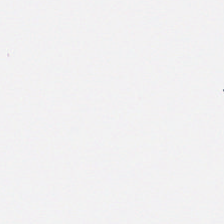Hematoxylin and eosin. 0.5 µm/px. The classification is empty background.
